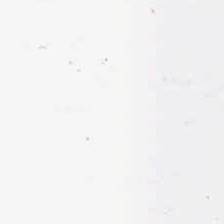This patch shows no tissue.
